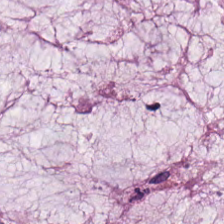Brightfield microscopy · formalin-fixed paraffin-embedded section · H&E-stained tissue section. Q: What is shown here?
A: It is mucin.
